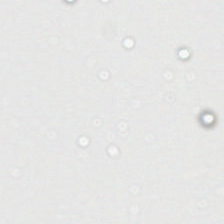FFPE tissue section; hematoxylin-and-eosin stained section. Histology — empty background.
